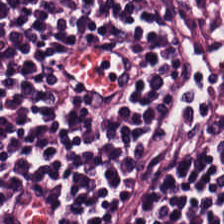Stain: H&E.
Tissue: lymphocytic infiltrate.
